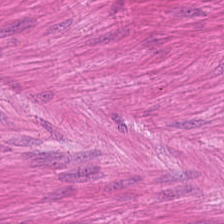Q: What is shown in this field?
A: Muscularis.
